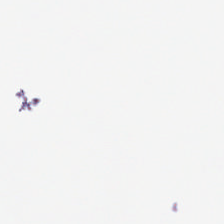Hematoxylin-and-eosin stained section.
This patch shows background.
